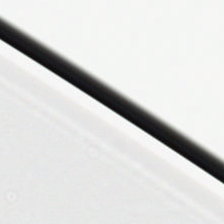Q: Classify this patch.
A: The field shows no tissue.
